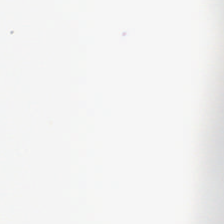H&E stain.
Background — no tissue in this field.
